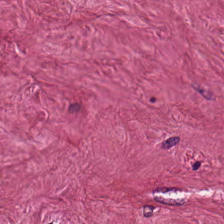H&E stain · formalin-fixed paraffin-embedded section. The predominant tissue is desmoplastic stroma.
